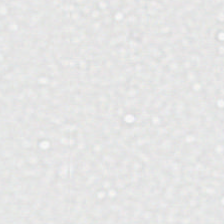This patch shows background (no tissue).
